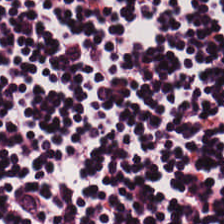FFPE tissue section; H&E; 224×224 pixel tile — Tissue = lymphoid infiltrate.
